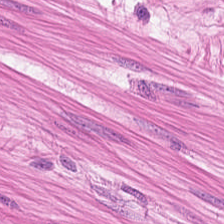Tissue: smooth muscle.
